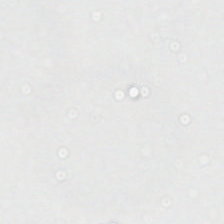0.5 µm per pixel; hematoxylin-and-eosin stained section. No tissue present; background only.
